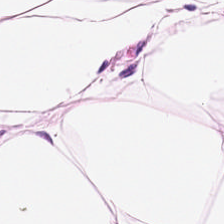This patch shows adipose.
